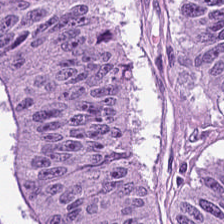H&E stain — Q: What is shown here?
A: The field shows colorectal adenocarcinoma.
